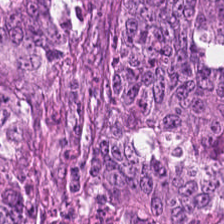H&E · 20× equivalent magnification. Impression → malignant epithelium.
